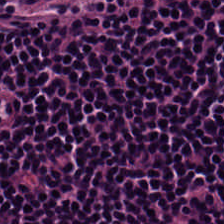Hematoxylin-and-eosin stained section — The predominant tissue is lymphocyte aggregate.
